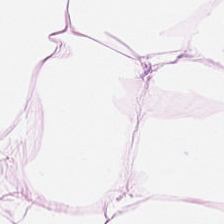H&E stain.
Q: What tissue is shown?
A: This is adipocytes.
